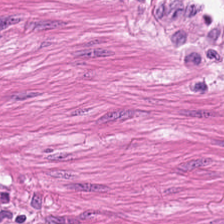Showing smooth muscle.
